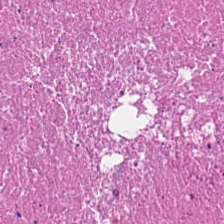Debris.
